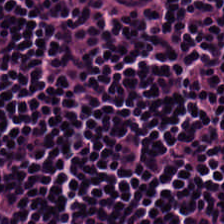H&E stain. Formalin-fixed paraffin-embedded section. 0.5 microns per pixel — Showing lymphocyte aggregate.
